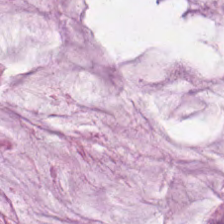Hematoxylin and eosin · whole-slide-image patch · FFPE tissue section.
Q: What is shown in this field?
A: Mucin.
